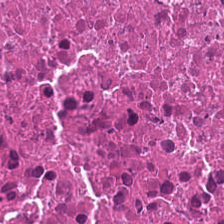{"tissue_type": "debris"}
